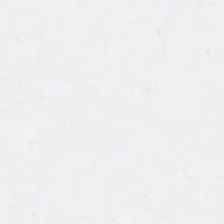Q: Classify this patch.
A: It is background (no tissue).
